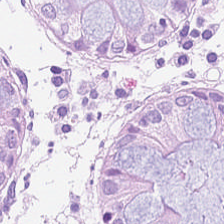Stain: hematoxylin and eosin.
Tissue type: normal colon mucosa.
